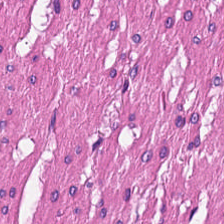{"tissue_type": "smooth-muscle tissue"}
